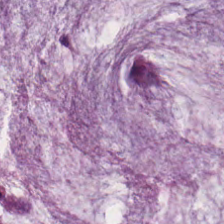Hematoxylin-and-eosin stained section; 224×224 pixel tile — Q: What is the predominant tissue type?
A: It is mucus.
